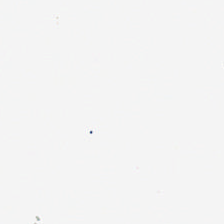Classification = background (no tissue).
